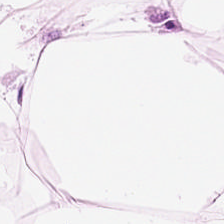H&E-stained tissue section.
The predominant tissue is adipose.
